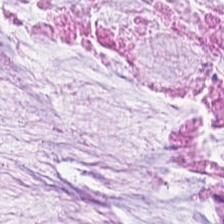H&E stain — Q: What is shown here?
A: It is mucin.
